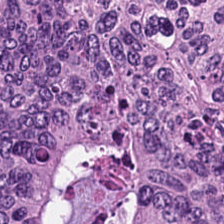H&E-stained tissue section — Classification — malignant epithelium.
